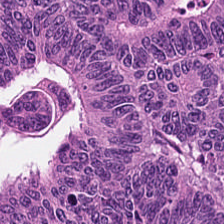FFPE · H&E · whole-slide-image patch.
The tissue is colorectal adenocarcinoma epithelium.
